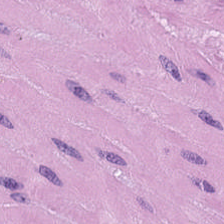H&E-stained tissue section; 224×224 pixel tile.
Showing smooth-muscle tissue.
